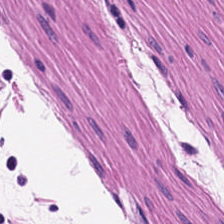Hematoxylin-and-eosin stained section — This field is smooth muscle.
